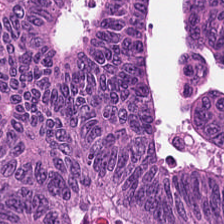H&E; FFPE tissue section. The tissue here is adenocarcinoma.
